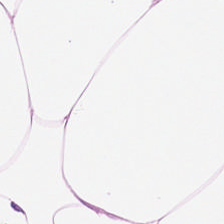Hematoxylin and eosin. Histology → fat tissue.
